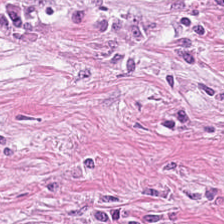Brightfield microscopy · H&E-stained tissue section — Predominant tissue: cancer-associated stroma.
